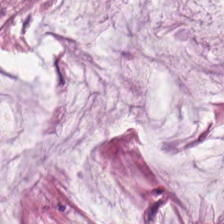0.5 microns per pixel. 224×224 px tile. H&E-stained tissue section.
Mucus.
